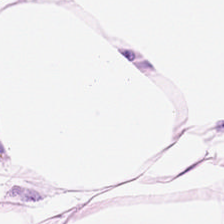Hematoxylin and eosin. Histology — adipocytes.
